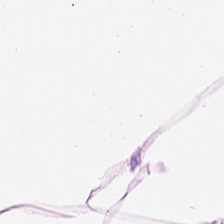Adipose tissue.
